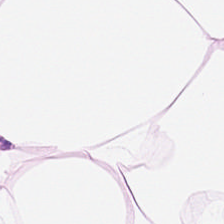20× equivalent magnification · H&E · brightfield microscopy — Q: What is shown in this field?
A: This is adipose tissue.
